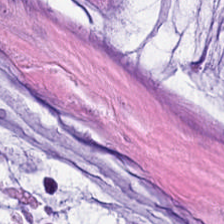Hematoxylin-and-eosin stained section. Q: Identify the tissue.
A: It is mucus.
